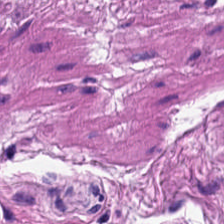Q: What does this patch show?
A: Muscularis.
